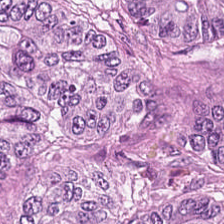The tissue is adenocarcinoma.
